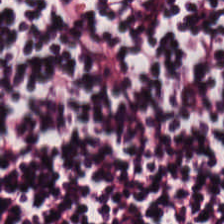Stain: H&E-stained tissue section.
Preparation: formalin-fixed paraffin-embedded section.
Tissue type: lymphoid infiltrate.
